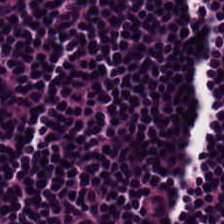Q: What does this patch show?
A: Lymphocyte aggregate.
